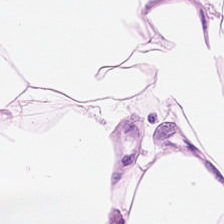WSI patch. H&E.
Adipose.
